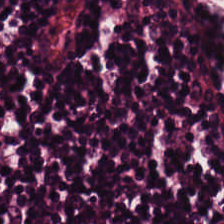Lymphocytes.
